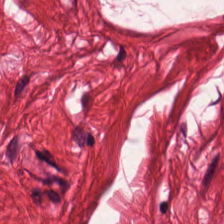H&E. The predominant tissue is muscularis.
